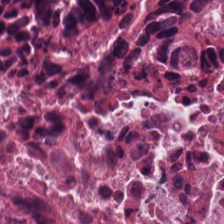The tissue here is necrotic debris.
